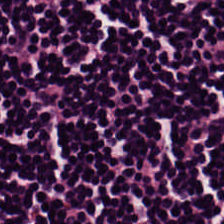224×224 px tile. H&E.
Impression → lymphoid infiltrate.
